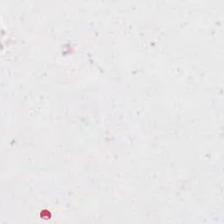H&E-stained tissue section — Q: Classify this patch.
A: Background (no tissue).
